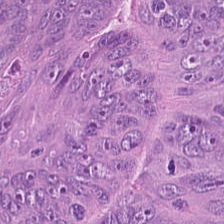Hematoxylin-and-eosin stained section; 0.5 µm per pixel — The tissue here is tumor epithelium.
